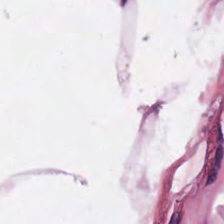Hematoxylin and eosin.
This patch shows adipocytes.
